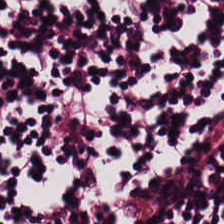Hematoxylin and eosin; 20× equivalent magnification. Impression → lymphocyte aggregate.
